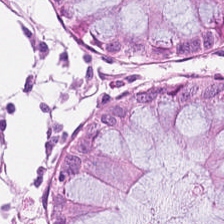H&E stain; FFPE tissue section — Q: Classify this patch.
A: Non-neoplastic colon mucosa.
